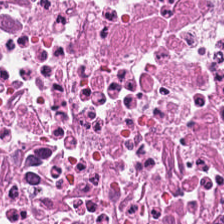Hematoxylin-and-eosin stained section · FFPE.
Tissue — necrotic debris.
